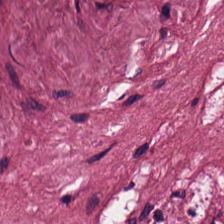Finding → cancer-associated stroma.
